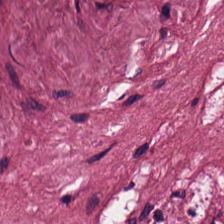Finding → cancer-associated stroma.
